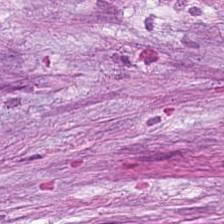Stain: H&E.
Preparation: FFPE tissue section.
Tile size: 224×224 pixel tile.
Tissue class: cancer-associated stroma.
